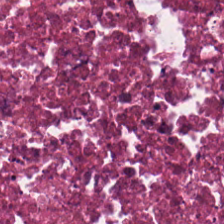Stain: hematoxylin-and-eosin stained section.
Tissue: cellular debris.
